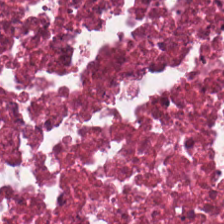Hematoxylin-and-eosin stained section. Tissue — cellular debris.
